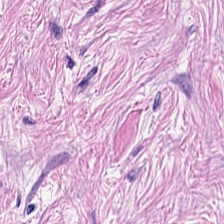The predominant tissue is desmoplastic stroma.
